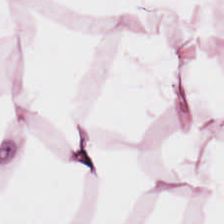Predominantly adipocytes.
